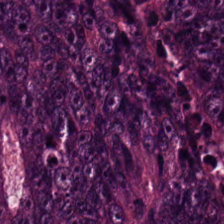Tissue class: malignant epithelium.
